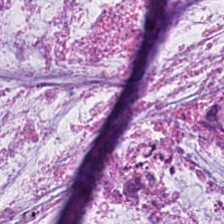Hematoxylin-and-eosin stained section.
Tissue: mucin.
